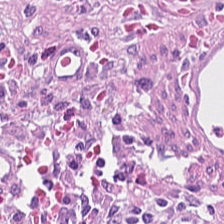H&E-stained tissue section — The predominant tissue is tumor-associated stroma.
